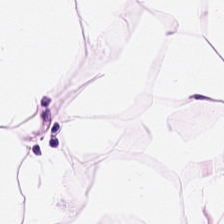Whole-slide-image patch · H&E stain · FFPE. This patch shows fat tissue.
